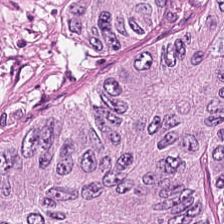Classification — adenocarcinoma.
